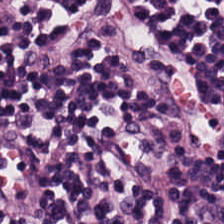Finding → lymphocytic infiltrate.
